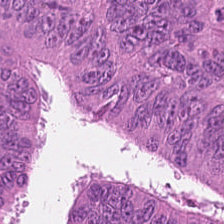H&E stain. Predominantly colorectal adenocarcinoma epithelium.
